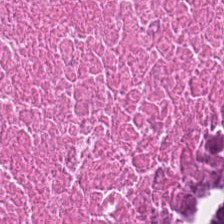H&E stain.
Impression — debris.
